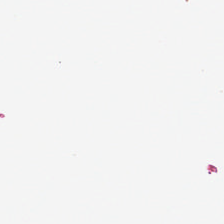The content is empty background.
